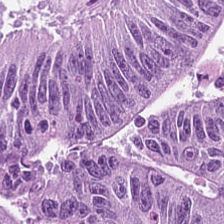Hematoxylin-and-eosin stained section. Showing adenocarcinoma.
